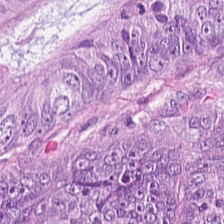H&E stain.
The predominant tissue is colorectal adenocarcinoma.
